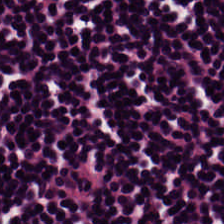H&E-stained section; the field shows lymphoid infiltrate.
